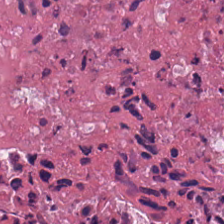H&E-stained tissue section.
Histology — necrotic debris.
